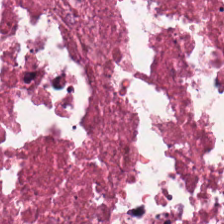Showing cellular debris.
